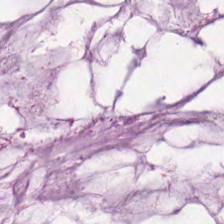Stain: hematoxylin and eosin.
Tissue: mucin.
